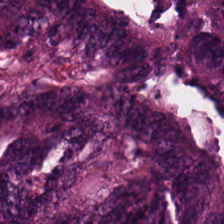Hematoxylin-and-eosin stained section. The predominant tissue is colorectal adenocarcinoma epithelium.
